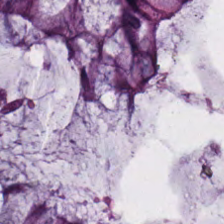Finding → normal colonic mucosa.
